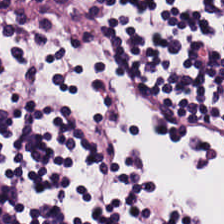Hematoxylin and eosin — Tissue: lymphocyte aggregate.
